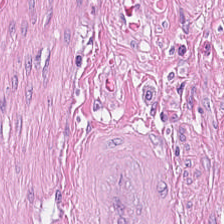FFPE. Hematoxylin and eosin. 0.5 µm/px — {"tissue_type": "tumor stroma"}
